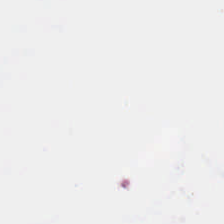H&E-stained tissue section — No tissue present; background only.
